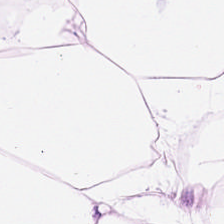Showing fat tissue.
